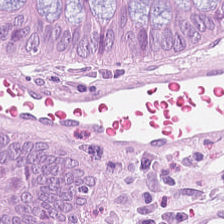224×224 px patch; WSI patch; hematoxylin-and-eosin stained section — The predominant tissue is normal colonic mucosa.
